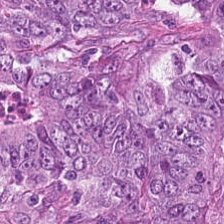H&E — Q: Classify this patch.
A: Adenocarcinoma.
